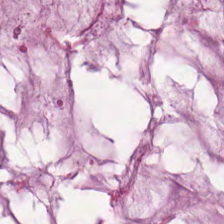H&E-stained tissue section. This field is mucus.
